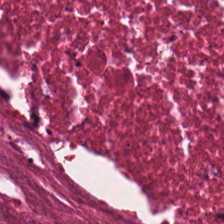Tissue = cellular debris.
